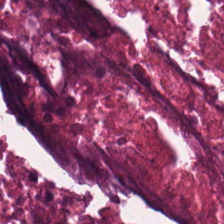H&E. Tissue type — cellular debris.
